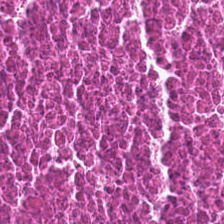Tissue type: debris.
